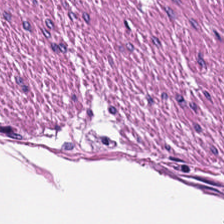Stain: hematoxylin and eosin.
Resolution: 20× equivalent magnification.
Predominant tissue: smooth muscle.
